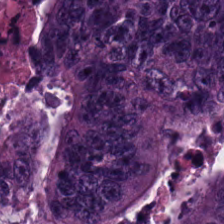Hematoxylin and eosin · 224×224 px tile. Tumor epithelium.
